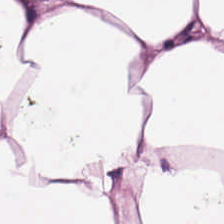0.5 µm per pixel · H&E-stained tissue section. {"tissue_type": "fat tissue"}
